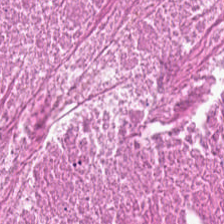Hematoxylin-and-eosin section: cellular debris.
